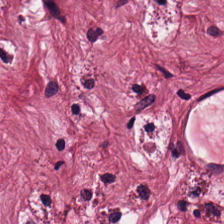H&E stain — The tissue type is cancer-associated stroma.
